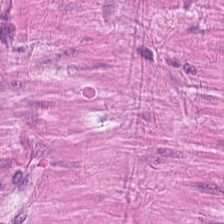FFPE; H&E; 224×224 px tile. Q: What tissue is shown?
A: It is muscularis.
